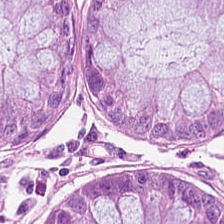H&E stain.
Tissue — benign colonic mucosa.
